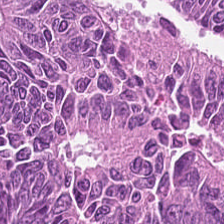H&E-stained tissue section · 0.5 µm/px — {"tissue_type": "colorectal adenocarcinoma"}
